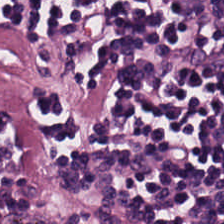Hematoxylin and eosin. Q: Identify the tissue.
A: Lymphocyte aggregate.
